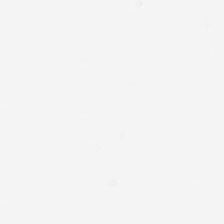H&E stain. Content: background (no tissue).
